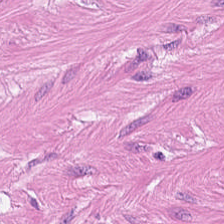H&E — smooth-muscle tissue.
